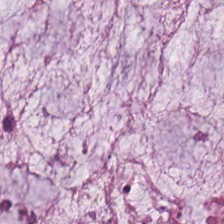{"tissue_type": "extracellular mucin"}
